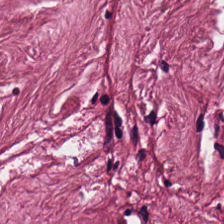H&E — Tissue — tumor stroma.
